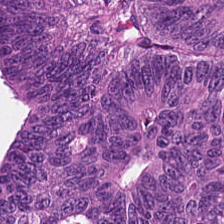FFPE. H&E-stained tissue section — Histology — adenocarcinoma.
